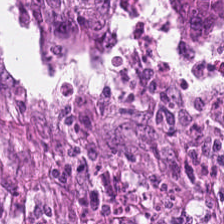H&E. FFPE. Q: What is shown in this field?
A: The field shows colorectal adenocarcinoma.
